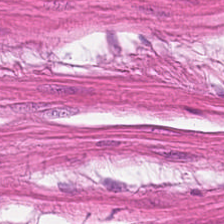H&E stain — Classification — muscularis.
